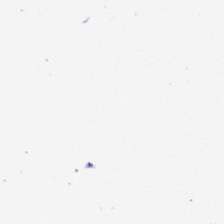0.5 microns per pixel. 224×224 pixel tile. H&E-stained tissue section.
Finding — background (no tissue).
